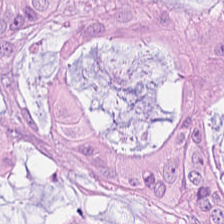Classification = adenocarcinoma.
